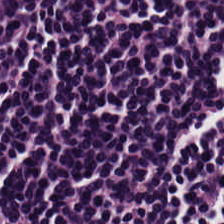Whole-slide-image patch · 224×224 px patch · hematoxylin and eosin.
Tissue type: lymphocyte aggregate.
